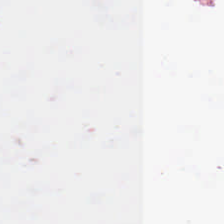Hematoxylin and eosin. 0.5 µm/px.
No tissue present; background only.
